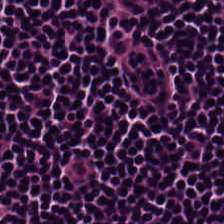20× equivalent magnification. H&E stain. 224×224 pixel tile. The tissue type is lymphocytes.
